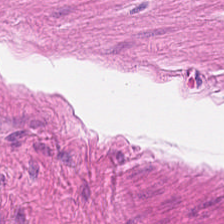Impression — muscularis.
